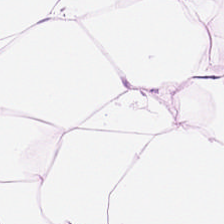Q: What is the predominant tissue type?
A: Adipose tissue.
